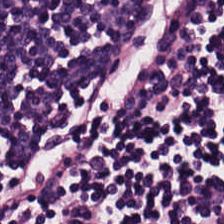FFPE tissue section · H&E-stained tissue section — Tissue = lymphocytes.
